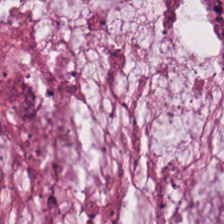Formalin-fixed paraffin-embedded section. 224×224 pixel tile. Hematoxylin-and-eosin stained section.
Tissue class — mucin.
